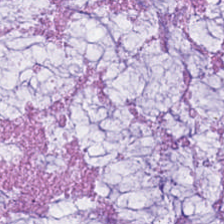H&E-stained tissue section showing mucin.
